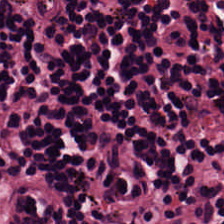Finding — lymphocytic infiltrate.
